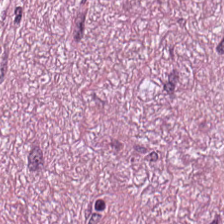Hematoxylin-and-eosin stained section. Tumor-associated stroma.
